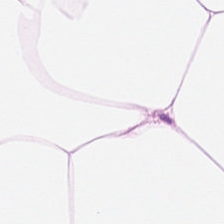224×224 px patch. Hematoxylin-and-eosin stained section — Q: Classify this patch.
A: Fat tissue.
